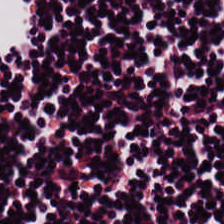H&E stain; 0.5 µm/px — Predominantly lymphocyte aggregate.
